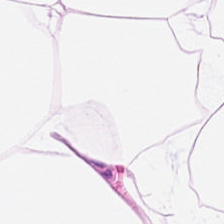This patch shows adipose.
